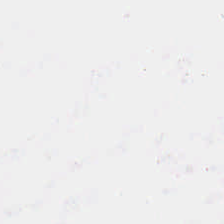0.5 µm per pixel. Hematoxylin-and-eosin stained section. FFPE tissue section — Classification — empty background.
